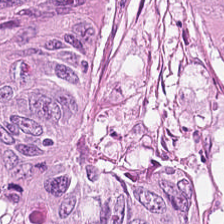H&E stain.
Q: What is shown in this field?
A: Colorectal adenocarcinoma epithelium.
